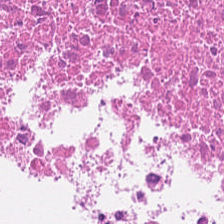Stain: hematoxylin and eosin.
Acquisition: WSI patch.
Resolution: 0.5 microns per pixel.
Classification: cellular debris.
